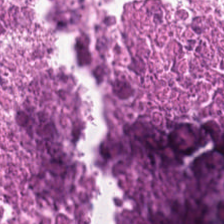Predominantly debris.
